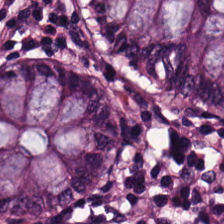0.5 µm/px · H&E-stained tissue section.
The tissue here is normal colon mucosa.
